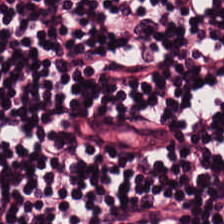Stain: H&E stain.
Predominant tissue: lymphocytic infiltrate.
